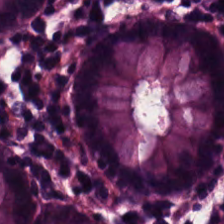224×224 px patch. Hematoxylin-and-eosin stained section — The tissue is normal colon mucosa.
